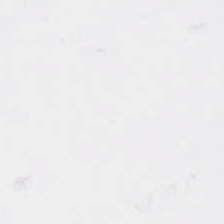H&E-stained tissue section · FFPE.
This patch shows no tissue.
